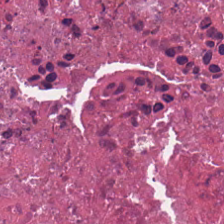Hematoxylin and eosin — Q: Identify the tissue.
A: It is necrotic debris.
